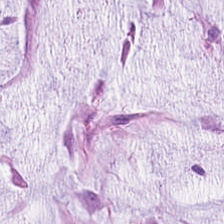Showing mucin.
